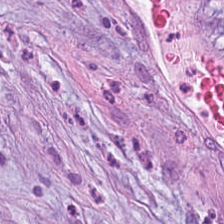H&E stain. This patch shows tumor stroma.
